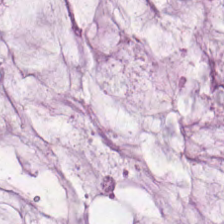H&E stain; whole-slide-image patch; 0.5 µm per pixel.
This field is extracellular mucin.
